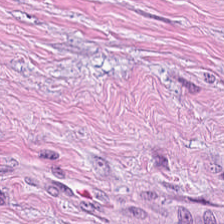Hematoxylin-and-eosin stained section · formalin-fixed paraffin-embedded section · whole-slide-image patch — Predominant tissue — cancer-associated stroma.
